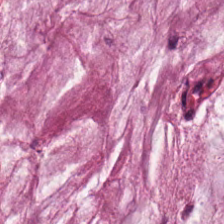Stain: H&E-stained tissue section.
Tissue: extracellular mucin.
